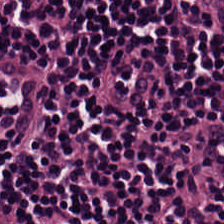H&E · WSI patch. Classification — lymphocytic infiltrate.
